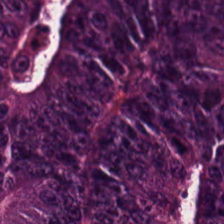Stain: hematoxylin-and-eosin stained section.
Acquisition: brightfield microscopy.
Tile size: 224×224 pixel tile.
Predominant tissue: adenocarcinoma.
